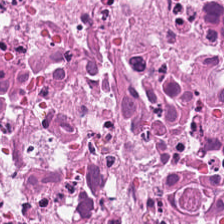Brightfield microscopy. 224×224 px patch. Hematoxylin-and-eosin stained section.
Tissue type = necrotic debris.
